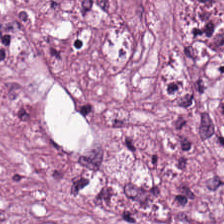Stain: hematoxylin-and-eosin stained section.
Tissue class: tumor stroma.
